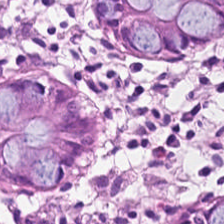Hematoxylin and eosin.
Predominant tissue: benign colonic mucosa.
